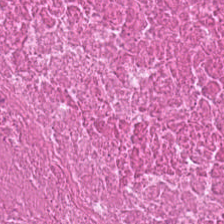Stain: hematoxylin and eosin.
Acquisition: WSI patch.
Resolution: 0.5 µm per pixel.
Classification: cellular debris.
